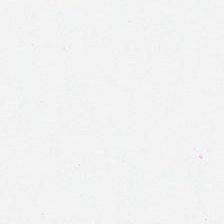Whole-slide-image patch. H&E-stained tissue section. Classification — no tissue.
